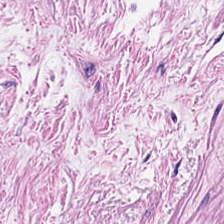224×224 px tile; hematoxylin-and-eosin stained section. Tissue class — smooth-muscle tissue.
